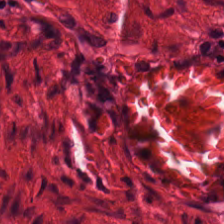H&E. Muscularis.
